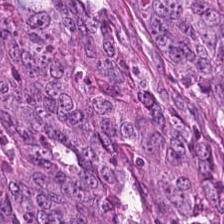Impression → colorectal adenocarcinoma epithelium.
